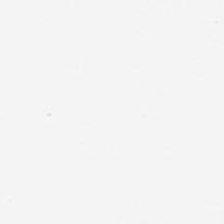This field is background (no tissue).
